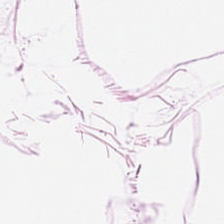Tissue = adipose.
